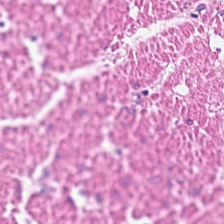Smooth-muscle tissue.
